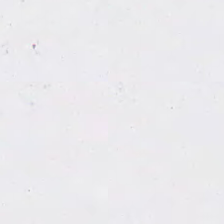Hematoxylin and eosin. FFPE. Q: What is shown in this field?
A: It is empty background.
